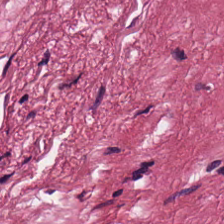The predominant tissue is desmoplastic stroma.
